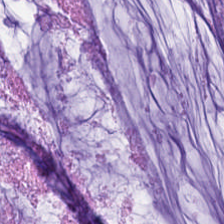Tissue class — extracellular mucin.
